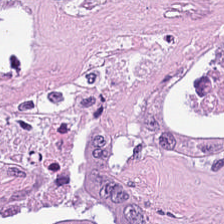H&E-stained tissue section; 0.5 microns per pixel — The predominant tissue is debris.
